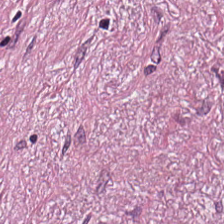0.5 microns per pixel. H&E — Q: Classify this patch.
A: Tumor stroma.
